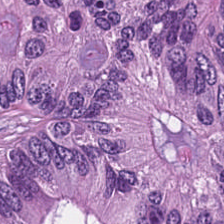Hematoxylin-and-eosin stained section.
Tissue class = malignant epithelium.
